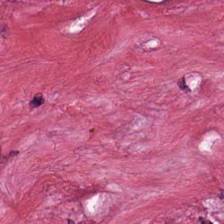The tissue type is tumor-associated stroma.
